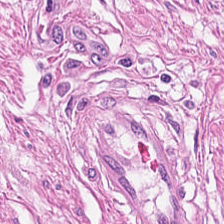Q: What is the predominant tissue type?
A: The field shows smooth-muscle tissue.
